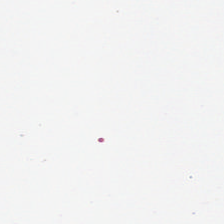Hematoxylin and eosin — Histology → background (no tissue).
